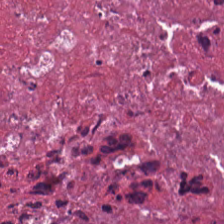This field is cellular debris.
